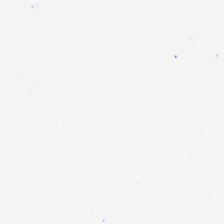FFPE; hematoxylin and eosin — This field is background (no tissue).
